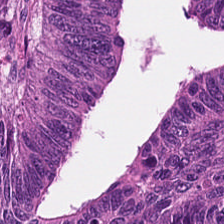20× equivalent magnification; 224×224 pixel tile; H&E. Q: Identify the tissue.
A: Adenocarcinoma.
